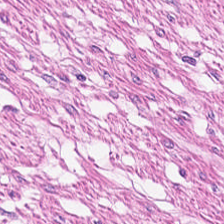0.5 µm per pixel. H&E stain.
Showing smooth-muscle tissue.
